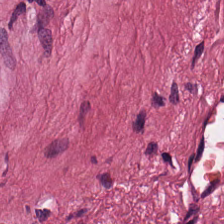H&E stain.
Q: What is the predominant tissue type?
A: The field shows desmoplastic stroma.
